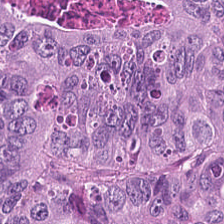Stain: hematoxylin-and-eosin stained section.
Resolution: 0.5 µm/px.
Classification: malignant epithelium.
